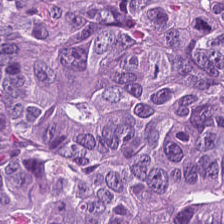H&E.
The tissue here is malignant epithelium.
